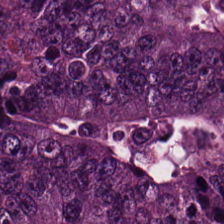H&E patch showing adenocarcinoma.
